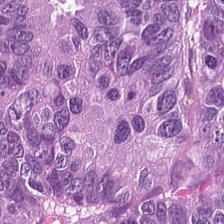Hematoxylin-and-eosin stained section. WSI patch — Colorectal adenocarcinoma epithelium.
